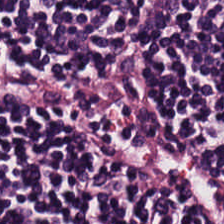Stain: hematoxylin-and-eosin stained section.
Acquisition: brightfield microscopy.
Classification: lymphocytic infiltrate.
